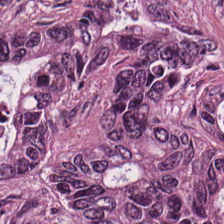Stain: hematoxylin-and-eosin stained section.
Tissue type: colorectal adenocarcinoma.
